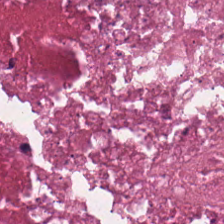Brightfield microscopy · H&E · 224×224 px tile — The classification is cellular debris.
